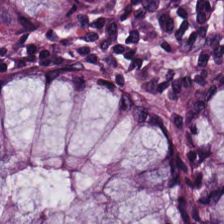224×224 px tile; formalin-fixed paraffin-embedded section; H&E stain.
The predominant tissue is normal colonic mucosa.
